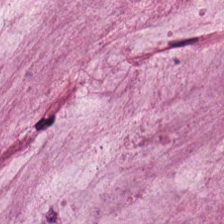H&E.
Q: What does this patch show?
A: The field shows mucus.
